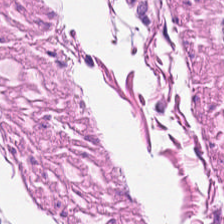H&E-stained tissue section · 224×224 px patch. The tissue here is smooth muscle.
